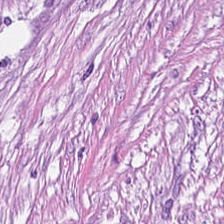Q: What tissue is shown?
A: The field shows cancer-associated stroma.
